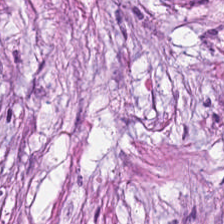Hematoxylin-and-eosin stained section. WSI patch. 224×224 px patch. Q: What is the predominant tissue type?
A: This is tumor stroma.
